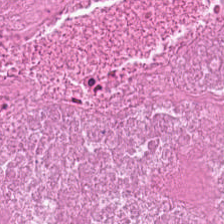H&E-stained tissue section · formalin-fixed paraffin-embedded section. Predominant tissue = debris.
